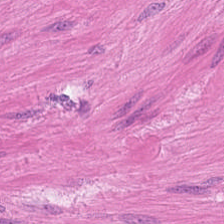Hematoxylin-and-eosin stained section. Q: What type of tissue is this?
A: It is smooth-muscle tissue.
